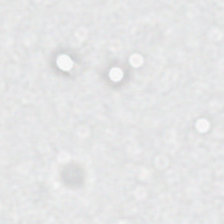{"content": "no tissue"}
